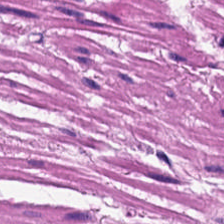H&E — Histology — smooth-muscle tissue.
